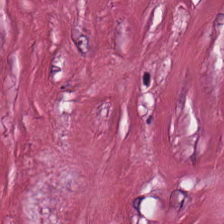H&E. Finding — tumor-associated stroma.
